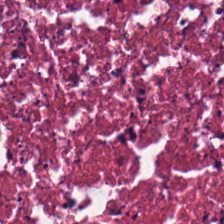Histology → necrotic debris.
